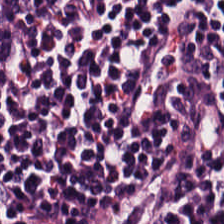H&E. Predominant tissue: lymphocytic infiltrate.
